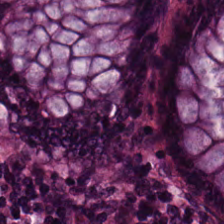Predominantly lymphocyte aggregate.
